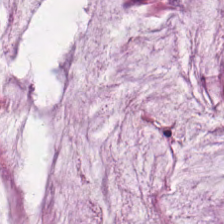Whole-slide-image patch; hematoxylin-and-eosin stained section. Tissue class = mucus.
